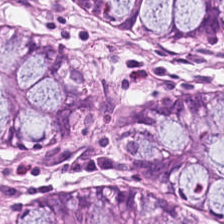224×224 pixel tile · hematoxylin and eosin — Tissue: normal colon mucosa.
